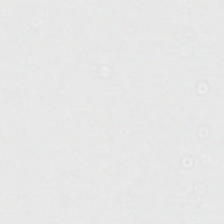Hematoxylin and eosin. FFPE tissue section. Finding → background (no tissue).
